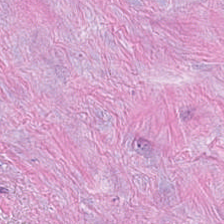H&E stain.
{"tissue_type": "desmoplastic stroma"}
